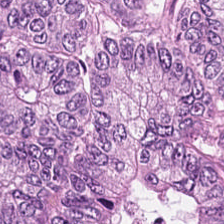H&E stain. Predominant tissue — colorectal adenocarcinoma.
